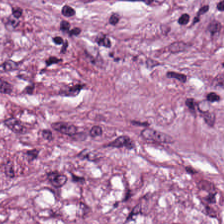H&E-stained tissue section.
The predominant tissue is desmoplastic stroma.
